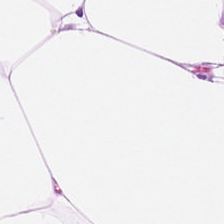H&E; 0.5 microns per pixel — Predominantly adipose tissue.
